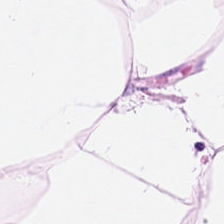H&E; 224×224 px tile.
Predominantly adipose tissue.
